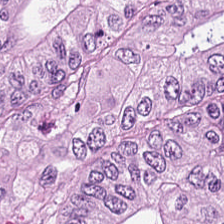H&E-stained tissue section. 20× equivalent magnification. 224×224 pixel tile. The tissue here is adenocarcinoma.
